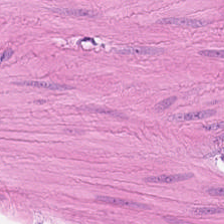H&E-stained tissue section — This patch shows smooth-muscle tissue.
